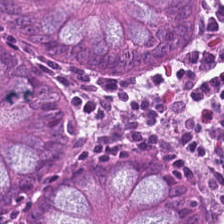Formalin-fixed paraffin-embedded section. H&E. 224×224 px patch — Q: What is shown here?
A: Benign colonic mucosa.
